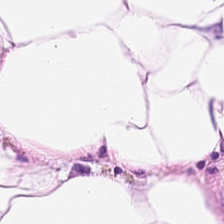Stain: H&E stain.
Predominant tissue: adipose.
